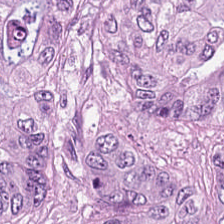Showing colorectal adenocarcinoma epithelium.
